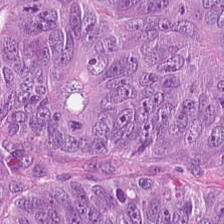Stain: H&E.
Classification: adenocarcinoma.
